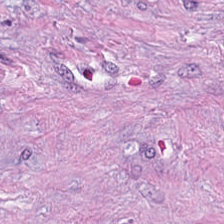H&E patch showing tumor-associated stroma.
